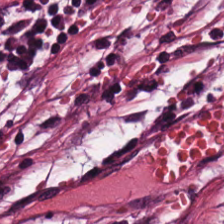H&E stain · formalin-fixed paraffin-embedded section · brightfield.
Tissue type = tumor-associated stroma.
